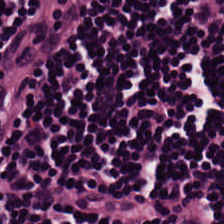224×224 px tile; H&E-stained tissue section. Q: What type of tissue is this?
A: The field shows lymphoid infiltrate.
